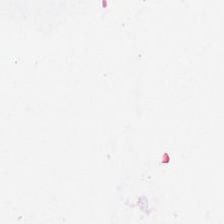H&E — Empty field — empty background.
